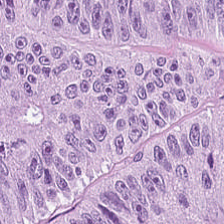H&E-stained tissue section — Predominantly tumor epithelium.
